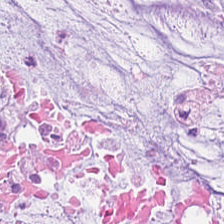Showing mucin.
